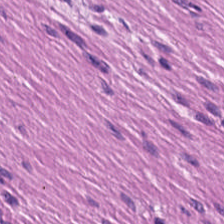WSI patch · H&E stain — This field is smooth muscle.
